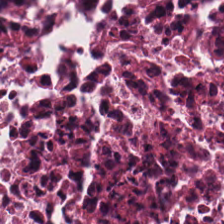Classification: cellular debris.
